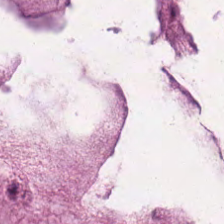H&E · 0.5 µm/px. Predominantly mucus.
